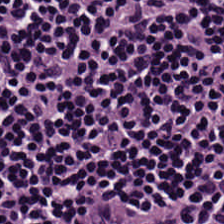Stain: H&E.
Tissue: lymphoid infiltrate.
